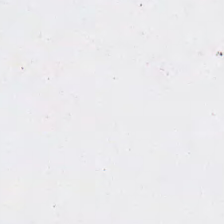H&E.
Q: Classify this patch.
A: The field shows background (no tissue).
